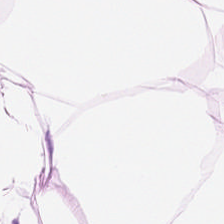H&E — adipocytes.
